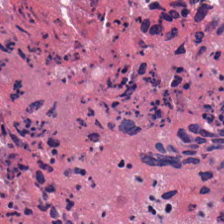FFPE tissue section. H&E stain. WSI patch. The classification is necrotic debris.
